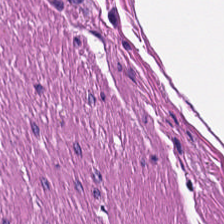H&E-stained tissue section. Formalin-fixed paraffin-embedded section. Brightfield. Predominant tissue = smooth muscle.
